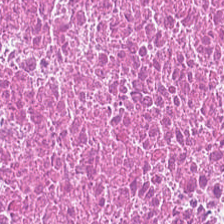Hematoxylin and eosin; 20× equivalent magnification. Showing cellular debris.
